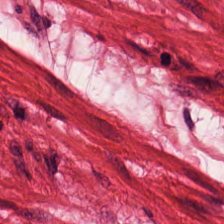Hematoxylin-and-eosin stained section — {"tissue_type": "smooth muscle"}
